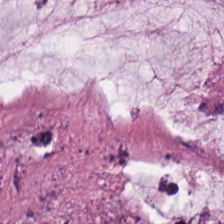Classification: mucin.
